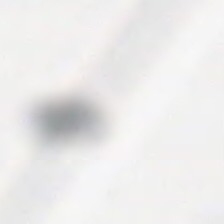H&E-stained tissue section. Empty field — background (no tissue).
